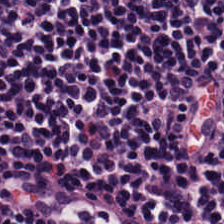Hematoxylin-and-eosin stained section.
Histology → lymphocyte aggregate.
